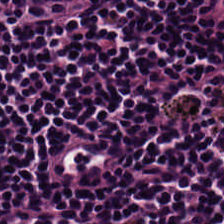Hematoxylin-and-eosin stained section.
Q: What is shown here?
A: Lymphoid infiltrate.
